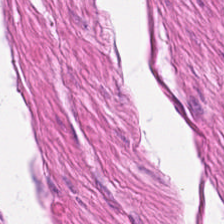Whole-slide-image patch; H&E stain; FFPE.
Q: Classify this patch.
A: Muscularis.
